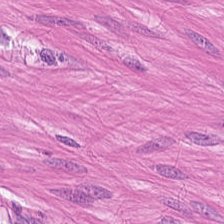H&E stain. Q: What type of tissue is this?
A: The field shows smooth-muscle tissue.
